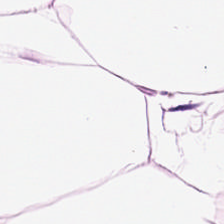H&E-stained tissue section — Tissue = fat tissue.
